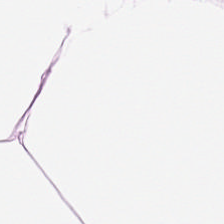Formalin-fixed paraffin-embedded section; hematoxylin and eosin. Showing adipose tissue.
